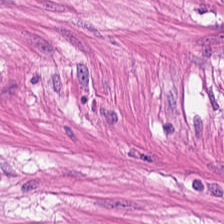Hematoxylin-and-eosin stained section.
Smooth muscle.
